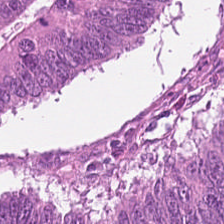Tissue type: colorectal adenocarcinoma epithelium.
